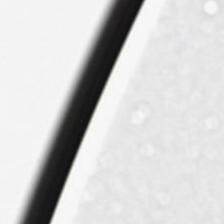Hematoxylin-and-eosin stained section; 224×224 pixel tile; brightfield — Q: Classify this patch.
A: No tissue.
